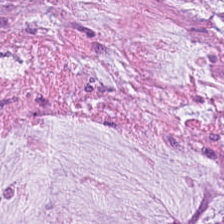Showing extracellular mucin.
